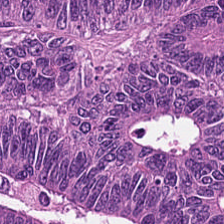The classification is tumor epithelium.
